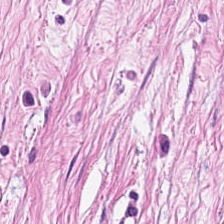Stain: hematoxylin and eosin.
Tissue class: cancer-associated stroma.
